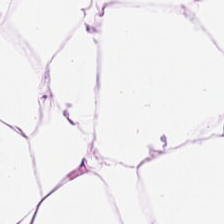H&E-stained tissue section. FFPE. 224×224 pixel tile.
Q: What type of tissue is this?
A: It is adipose.
